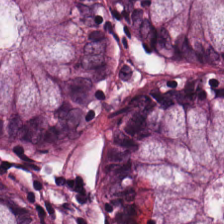Hematoxylin-and-eosin stained section.
Tissue: benign colonic mucosa.
